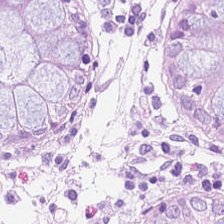0.5 µm per pixel · formalin-fixed paraffin-embedded section · H&E.
Q: Identify the tissue.
A: This is non-neoplastic colon mucosa.
